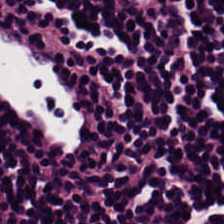Q: Classify this patch.
A: This is lymphocytic infiltrate.
